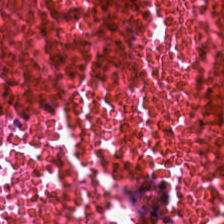Hematoxylin-and-eosin stained section. Predominant tissue — cellular debris.
